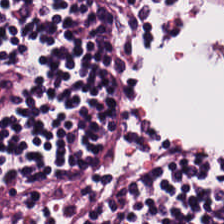224×224 px tile · H&E. Predominant tissue = lymphocytic infiltrate.
